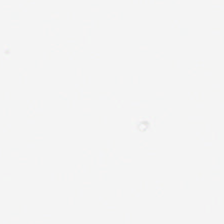Hematoxylin-and-eosin stained section — This field is background (no tissue).
